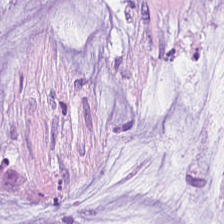Stain: H&E stain.
Tissue class: extracellular mucin.
